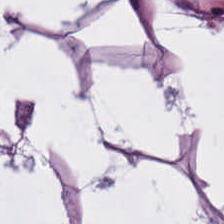H&E stain — Predominantly adipose.
